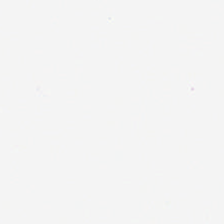224×224 px tile · FFPE tissue section · H&E. Background — no tissue in this field.
